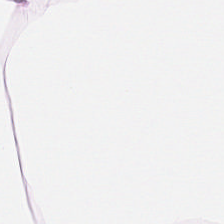Formalin-fixed paraffin-embedded section · hematoxylin and eosin · 0.5 microns per pixel. This field is adipocytes.
